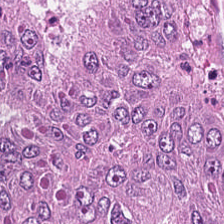Showing tumor epithelium.
